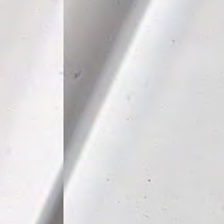{"content": "background"}
